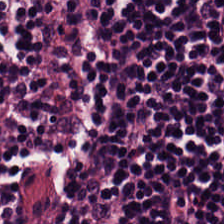Hematoxylin and eosin — Lymphocyte aggregate.
